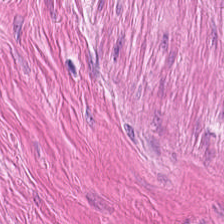Hematoxylin and eosin · FFPE tissue section. Smooth-muscle tissue.
